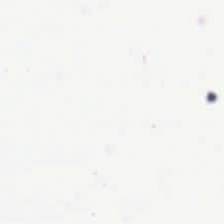Whole-slide-image patch. Hematoxylin and eosin. FFPE.
This patch shows background.
